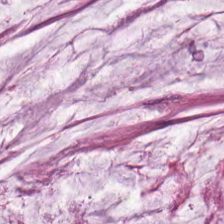Brightfield · hematoxylin and eosin. Tissue: mucus.
